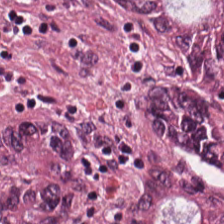H&E-stained tissue section.
The predominant tissue is tumor epithelium.
